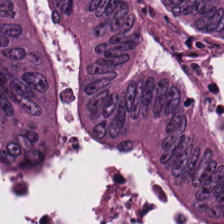Hematoxylin-and-eosin stained section.
Tissue: colorectal adenocarcinoma epithelium.
